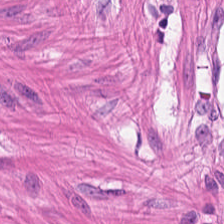Stain: H&E-stained tissue section.
Resolution: 0.5 µm/px.
Tissue class: muscularis.
